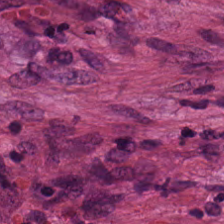FFPE · 224×224 px patch · H&E-stained tissue section. This patch shows tumor-associated stroma.
